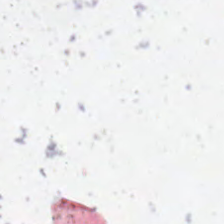H&E. The field content is background.
